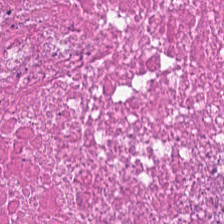H&E stain. FFPE.
The tissue here is debris.
